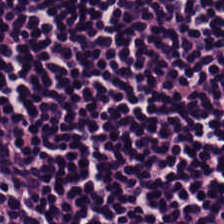H&E. Q: What tissue type is shown here?
A: Lymphocyte aggregate.
